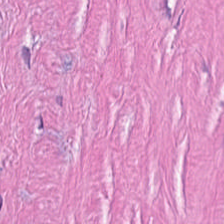Hematoxylin-and-eosin stained section — The tissue here is tumor stroma.
